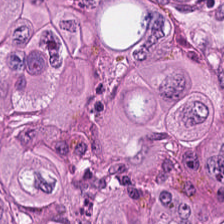H&E-stained tissue section. Whole-slide-image patch. 224×224 px patch.
Tissue type: malignant epithelium.
